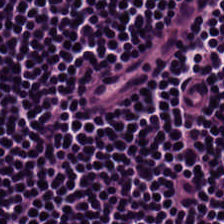Predominant tissue = lymphoid infiltrate.
